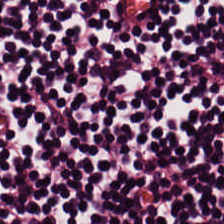H&E stain.
The tissue here is lymphoid infiltrate.
